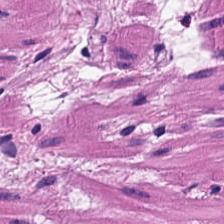H&E-stained tissue section — {"tissue_type": "smooth muscle"}
